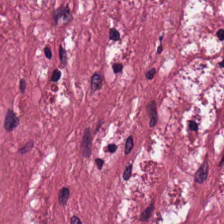Hematoxylin and eosin.
Tissue class: desmoplastic stroma.
